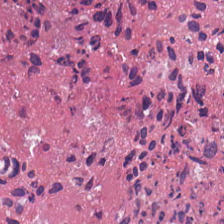Predominant tissue: debris.
